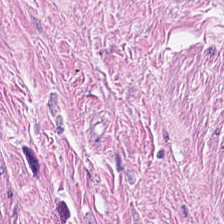Tissue class: smooth-muscle tissue.
